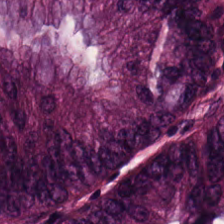Hematoxylin-and-eosin stained section. Tissue type — malignant epithelium.
